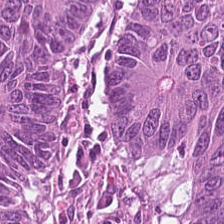Stain: H&E stain.
Resolution: 0.5 µm per pixel.
Tile size: 224×224 pixel tile.
Tissue class: adenocarcinoma.
